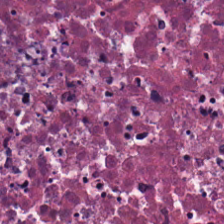Stain: H&E stain.
Preparation: formalin-fixed paraffin-embedded section.
Classification: necrotic debris.
